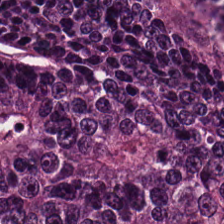Hematoxylin and eosin. The tissue is tumor epithelium.
